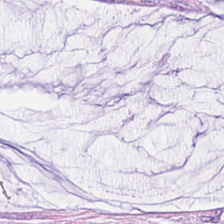20× equivalent magnification. H&E — The tissue here is extracellular mucin.
